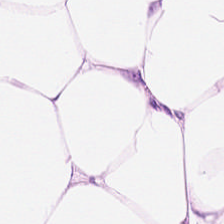H&E-stained tissue section showing adipocytes.
